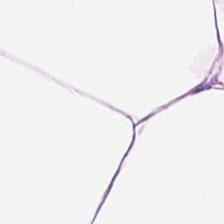H&E. This patch shows adipose tissue.
